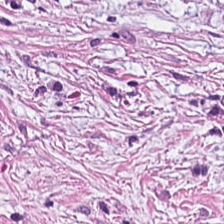Predominant tissue: cancer-associated stroma.
